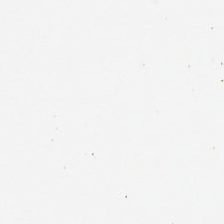H&E-stained tissue section. Classification = no tissue.
